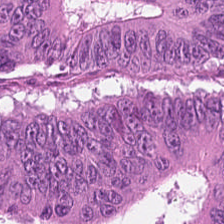H&E-stained tissue section. The tissue here is tumor epithelium.
